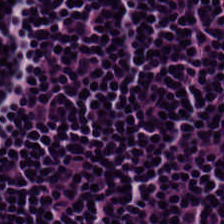Predominant tissue — lymphocytes.
